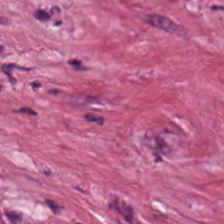Hematoxylin-and-eosin stained section. Predominant tissue: cancer-associated stroma.
